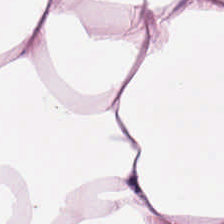224×224 px patch · whole-slide-image patch · hematoxylin-and-eosin stained section.
Tissue class — adipocytes.
